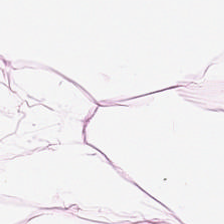Hematoxylin and eosin — {"tissue_type": "adipose tissue"}
